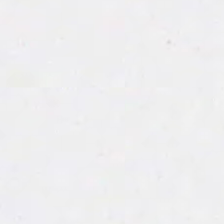H&E. Field content: background (no tissue).
